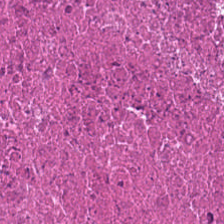H&E stain · whole-slide-image patch · formalin-fixed paraffin-embedded section. Classification — necrotic debris.
